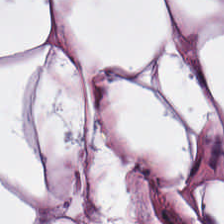Stain: hematoxylin and eosin.
Tile size: 224×224 px tile.
Tissue: adipose tissue.
